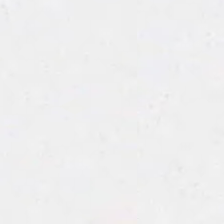{"content": "no tissue"}
